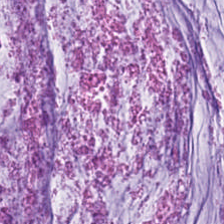H&E stain; 0.5 µm per pixel; FFPE. Tissue type — extracellular mucin.
